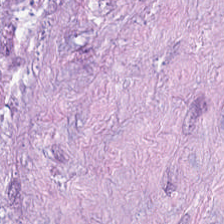Predominantly cancer-associated stroma.
